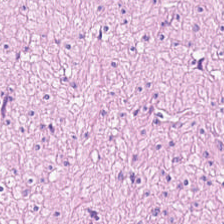Stain: hematoxylin and eosin.
Predominant tissue: muscularis.
